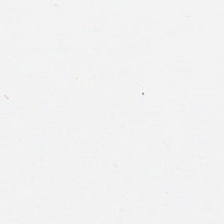Hematoxylin-and-eosin stained section — Impression → background (no tissue).
